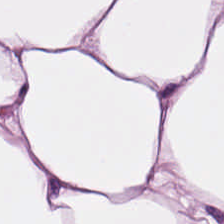H&E. Q: Identify the tissue.
A: The field shows adipocytes.
